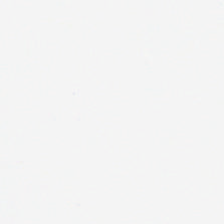Stain: H&E-stained tissue section.
Classification: background.
